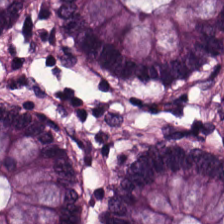H&E stain.
This patch shows benign colonic mucosa.
